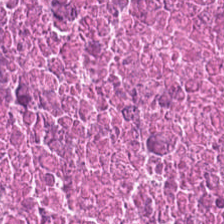Stain: H&E stain.
Acquisition: WSI patch.
Resolution: 0.5 microns per pixel.
Predominant tissue: necrotic debris.
